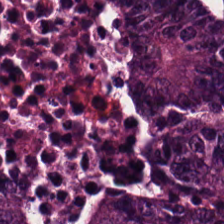Hematoxylin-and-eosin stained section. Classification — malignant epithelium.
